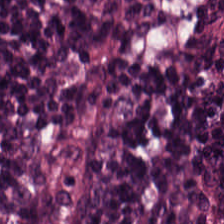H&E — The tissue here is lymphocytes.
